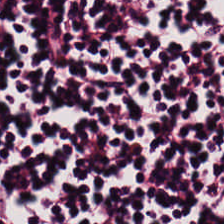H&E · formalin-fixed paraffin-embedded section.
Q: What type of tissue is this?
A: It is lymphocytes.
